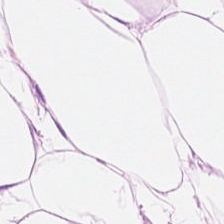Whole-slide-image patch. 224×224 px patch. H&E-stained tissue section.
{"tissue_type": "fat tissue"}
